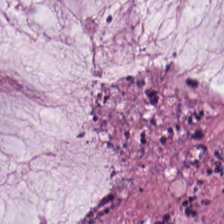This field is mucus.
